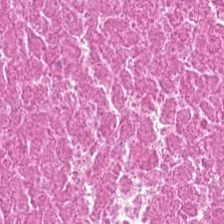H&E stain — Predominant tissue — debris.
